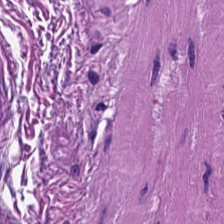Hematoxylin and eosin. Brightfield microscopy. 224×224 px tile — Impression — smooth muscle.
